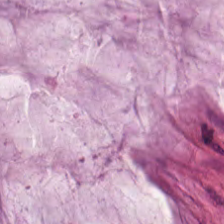H&E stain; formalin-fixed paraffin-embedded section — Q: Classify this patch.
A: Mucin.
